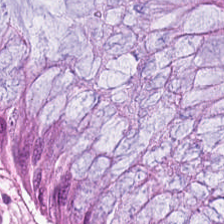Stain: H&E stain.
Acquisition: whole-slide-image patch.
Tissue class: non-neoplastic colon mucosa.
